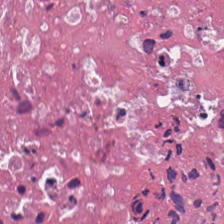224×224 px tile · H&E. Tissue = cellular debris.
